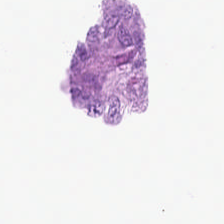Background.
